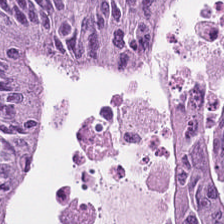Stain: hematoxylin-and-eosin stained section.
Predominant tissue: colorectal adenocarcinoma.
